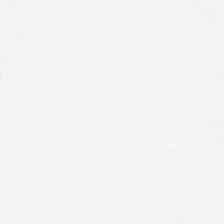Background — no tissue in this field.
